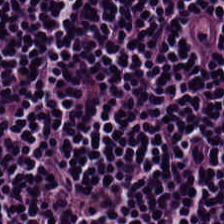H&E-stained tissue section — This patch shows lymphocyte aggregate.
